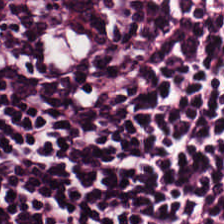20× equivalent magnification; hematoxylin-and-eosin stained section — Showing lymphoid infiltrate.
